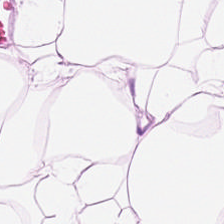Impression — adipose.
